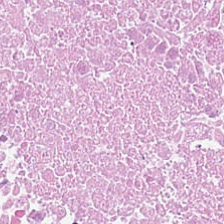Q: What does this patch show?
A: The field shows necrotic debris.
